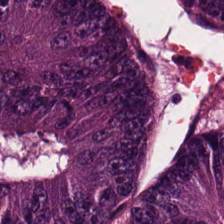H&E. FFPE.
The predominant tissue is colorectal adenocarcinoma.
